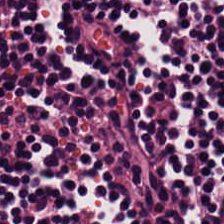Brightfield. FFPE tissue section. H&E stain.
Impression → lymphocytic infiltrate.
